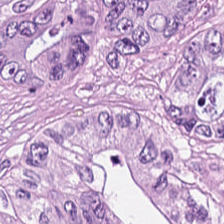Stain: hematoxylin-and-eosin stained section.
Preparation: formalin-fixed paraffin-embedded section.
Tile size: 224×224 px tile.
Tissue type: colorectal adenocarcinoma epithelium.
